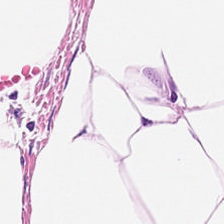Tissue type — adipose.
